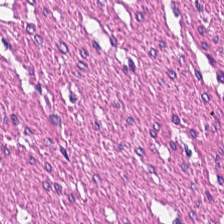H&E patch showing smooth-muscle tissue.
